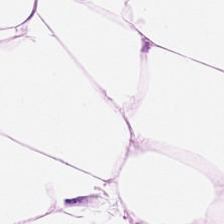Hematoxylin and eosin. The tissue here is adipose.
